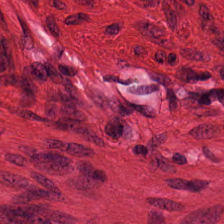Hematoxylin-and-eosin stained section.
Classification = muscularis.
